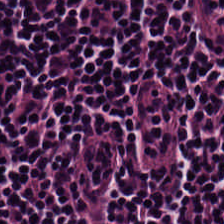Stain: H&E stain.
Tissue: lymphocytes.
